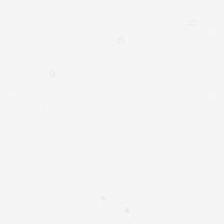H&E stain.
This patch shows background.
